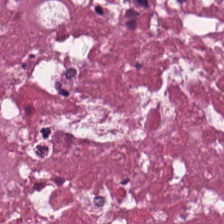Showing cellular debris.
